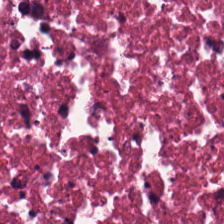Stain: hematoxylin-and-eosin stained section.
Tissue class: cellular debris.
